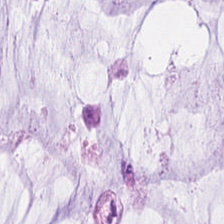Stain: hematoxylin and eosin.
Classification: mucus.
